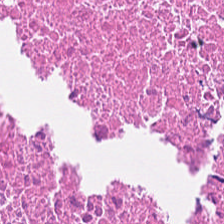Hematoxylin and eosin · 224×224 pixel tile · formalin-fixed paraffin-embedded section. Finding → necrotic debris.
